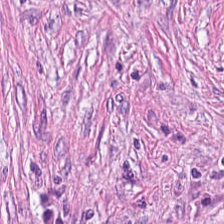Hematoxylin-and-eosin stained section.
Histology — desmoplastic stroma.
